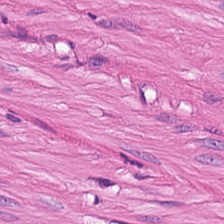Tissue type: smooth-muscle tissue.
